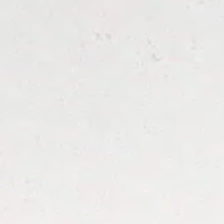Formalin-fixed paraffin-embedded section; H&E-stained tissue section; 0.5 µm per pixel — This field is background (no tissue).
